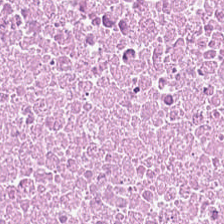Brightfield microscopy; H&E stain.
This field is cellular debris.
